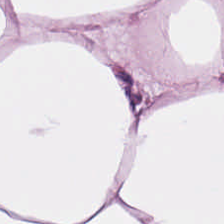Whole-slide-image patch; H&E stain. {"tissue_type": "fat tissue"}
